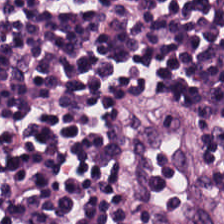Hematoxylin and eosin — Predominantly lymphocytes.
